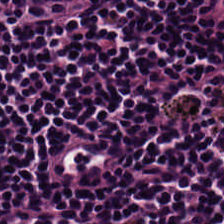0.5 microns per pixel · hematoxylin-and-eosin stained section.
Tissue class: lymphocyte aggregate.
